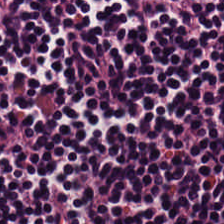Stain: hematoxylin-and-eosin stained section.
Tissue type: lymphocytic infiltrate.
